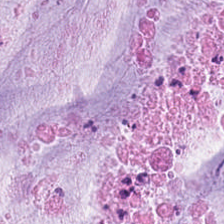Stain: H&E stain.
Acquisition: whole-slide-image patch.
Classification: mucin.
